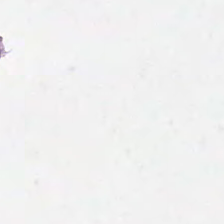Hematoxylin and eosin — The classification is background (no tissue).
